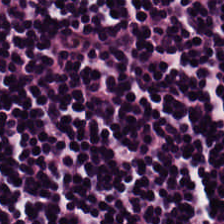{"tissue_type": "lymphocytes"}
